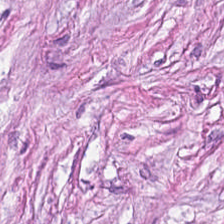Stain: H&E-stained tissue section.
Tissue type: tumor-associated stroma.
